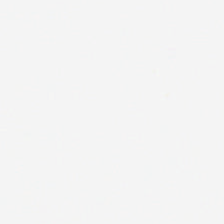Hematoxylin and eosin. Brightfield.
Background — no tissue in this field.
